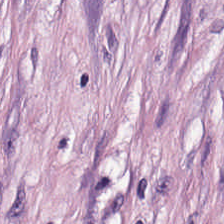H&E-stained tissue section — This patch shows desmoplastic stroma.
